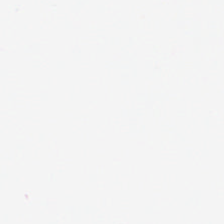Stain: H&E-stained tissue section.
Field content: background (no tissue).
